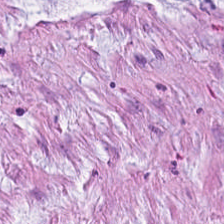Hematoxylin-and-eosin stained section · FFPE. This patch shows mucus.
